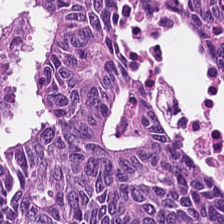224×224 pixel tile. H&E stain.
The predominant tissue is tumor epithelium.
